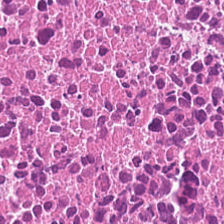The tissue type is debris.
